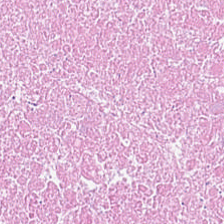H&E-stained tissue section.
Showing necrotic debris.
